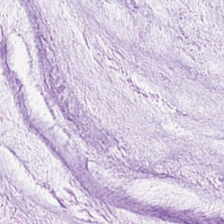Hematoxylin-and-eosin stained section — The tissue type is mucus.
